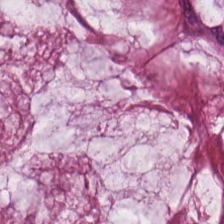Q: What is shown in this field?
A: Extracellular mucin.
